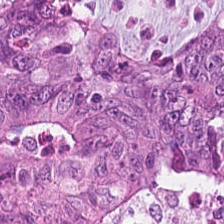FFPE tissue section · H&E stain. Predominantly colorectal adenocarcinoma epithelium.
